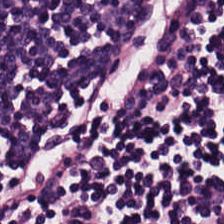Tissue = lymphocytic infiltrate.
